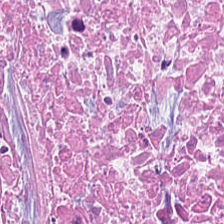This patch shows necrotic debris.
